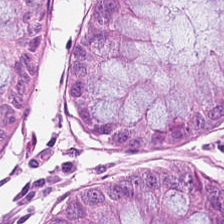Classification: benign colonic mucosa.
